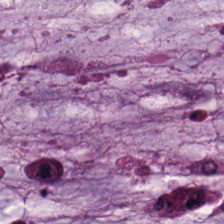Hematoxylin-and-eosin stained section; formalin-fixed paraffin-embedded section — Q: What tissue is shown?
A: This is extracellular mucin.
